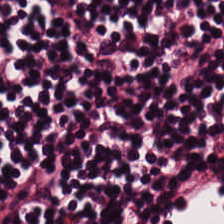Hematoxylin-and-eosin stained section. 224×224 pixel tile. Predominantly lymphocytic infiltrate.
